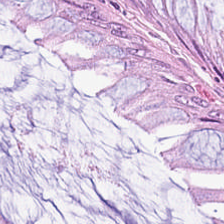H&E.
Non-neoplastic colon mucosa.
